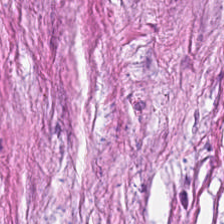H&E-stained tissue section.
The tissue here is cancer-associated stroma.
